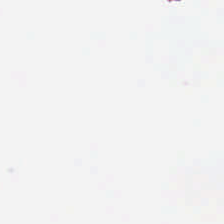Hematoxylin-and-eosin stained section; 224×224 px patch — Classification — background.
